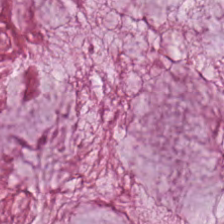H&E. This patch shows mucin.
